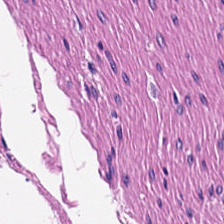Hematoxylin-and-eosin stained section. Whole-slide-image patch. The predominant tissue is muscularis.
